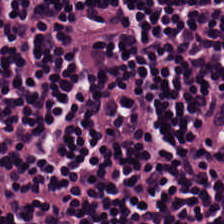Histology → lymphocytes.
